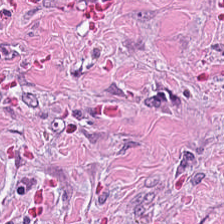Q: What is the predominant tissue type?
A: Tumor-associated stroma.
